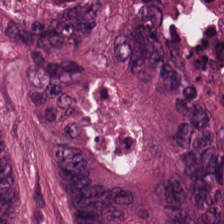H&E stain — Q: What is shown in this field?
A: Malignant epithelium.
